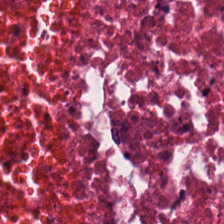H&E — Tissue class — cellular debris.
